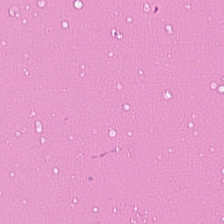FFPE tissue section; H&E; whole-slide-image patch. Cellular debris.
